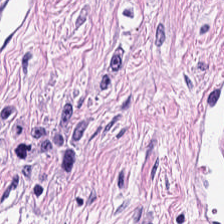Q: What tissue is shown?
A: Cancer-associated stroma.
